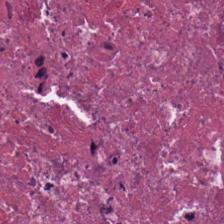Stain: H&E.
Classification: necrotic debris.
